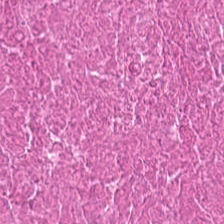0.5 µm per pixel. Hematoxylin-and-eosin stained section — This field is necrotic debris.
